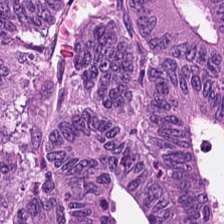This field is malignant epithelium.
